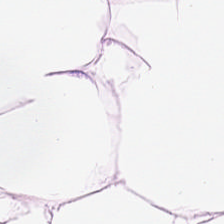Finding — fat tissue.
